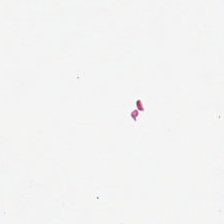Hematoxylin and eosin. Field content = empty background.
